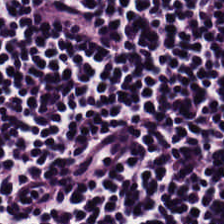The predominant tissue is lymphoid infiltrate.
